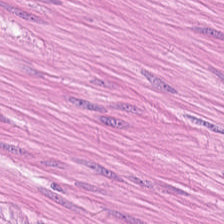Hematoxylin-and-eosin stained section · 20× equivalent magnification · FFPE tissue section — Smooth-muscle tissue.
